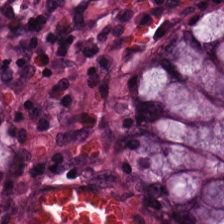The tissue is normal colon mucosa.
